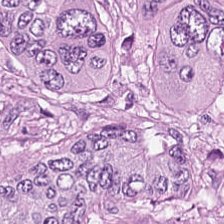Q: Classify this patch.
A: The field shows colorectal adenocarcinoma epithelium.
